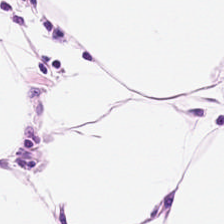H&E stain.
Histology — adipocytes.
